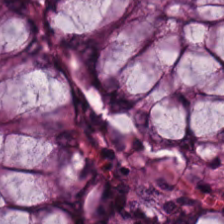H&E-stained tissue section · 224×224 px patch.
This field is benign colonic mucosa.
